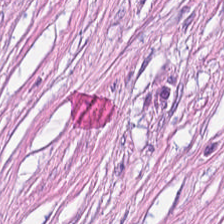FFPE; 0.5 µm/px; H&E.
The tissue here is tumor stroma.
